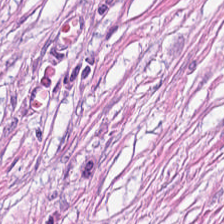Stain: H&E stain.
Predominant tissue: cancer-associated stroma.
